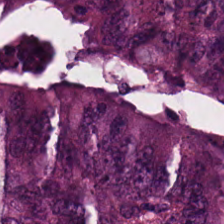Q: What tissue is shown?
A: Malignant epithelium.
